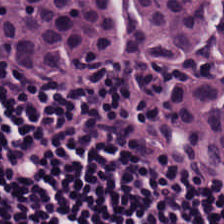Hematoxylin and eosin; 224×224 px tile. This patch shows lymphocytic infiltrate.
